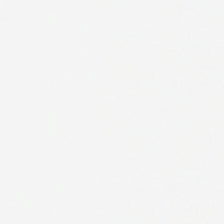FFPE tissue section. H&E-stained tissue section.
Q: Classify this patch.
A: This is background (no tissue).
